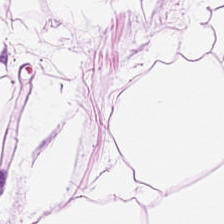Hematoxylin-and-eosin stained section; formalin-fixed paraffin-embedded section — Tissue: fat tissue.
